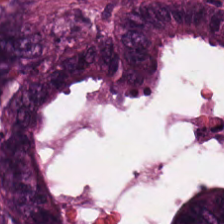H&E stain; 224×224 px patch. Histology — colorectal adenocarcinoma.
